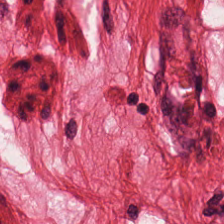Stain: H&E.
Classification: smooth-muscle tissue.
